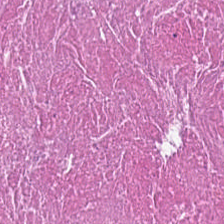Whole-slide-image patch · hematoxylin-and-eosin stained section · 224×224 pixel tile.
Tissue type: debris.
